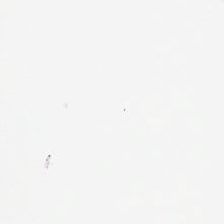Stain: H&E-stained tissue section.
Classification: background (no tissue).
